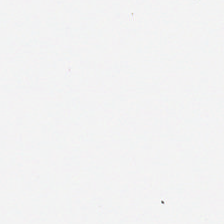FFPE · H&E stain · brightfield — Q: What is shown here?
A: Empty background.
